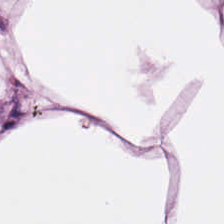Hematoxylin and eosin. Q: What tissue type is shown here?
A: The field shows adipose.
